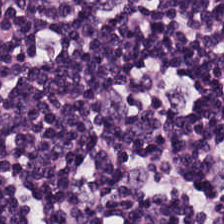H&E. The tissue here is lymphoid infiltrate.
